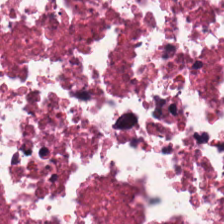Hematoxylin and eosin — Tissue — necrotic debris.
